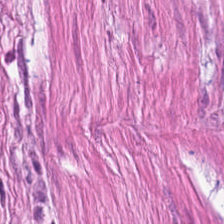Stain: H&E-stained tissue section.
Tissue type: smooth-muscle tissue.
